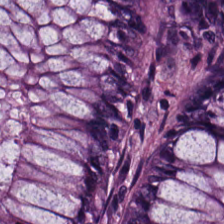Brightfield · H&E.
Tissue: benign colonic mucosa.
